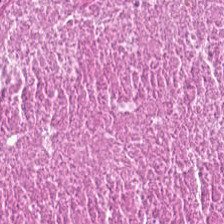H&E stain · 224×224 pixel tile — This patch shows cellular debris.
